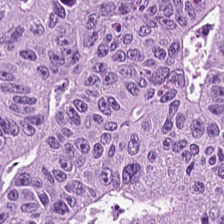H&E-stained tissue section — Showing colorectal adenocarcinoma.
